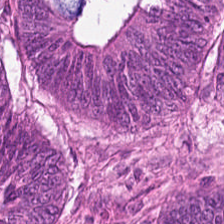Hematoxylin and eosin.
The tissue type is colorectal adenocarcinoma epithelium.
